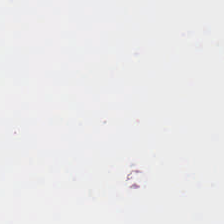FFPE; H&E stain; brightfield. This field is background (no tissue).
